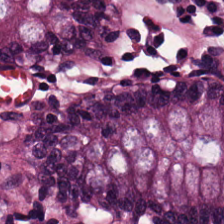Stain: hematoxylin and eosin.
Tissue class: normal colon mucosa.
